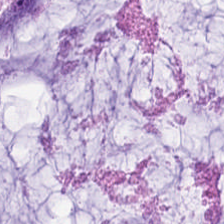Q: Identify the tissue.
A: It is mucus.
